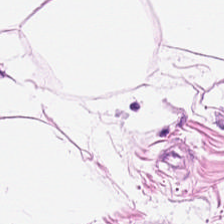H&E stain — The predominant tissue is adipocytes.
